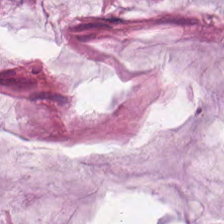H&E-stained tissue section.
Q: What tissue type is shown here?
A: This is extracellular mucin.
